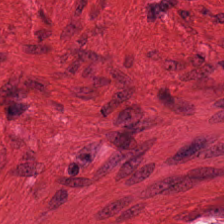Stain: H&E stain.
Predominant tissue: smooth-muscle tissue.
